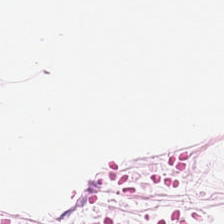Hematoxylin-and-eosin stained section; 224×224 px tile; 0.5 µm/px. Showing adipocytes.
